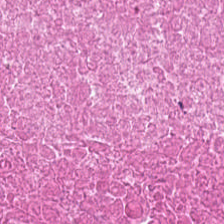Hematoxylin-and-eosin stained section.
The tissue is debris.
